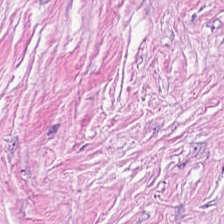Formalin-fixed paraffin-embedded section; brightfield; H&E stain. Tissue type: desmoplastic stroma.
